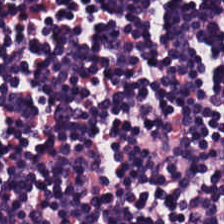H&E-stained tissue section — Q: What tissue is shown?
A: It is lymphocyte aggregate.
